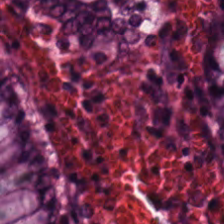H&E-stained tissue section. 0.5 µm/px — {"tissue_type": "normal colon mucosa"}
